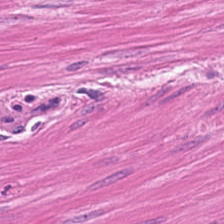H&E. FFPE tissue section. Brightfield — {"tissue_type": "muscularis"}
